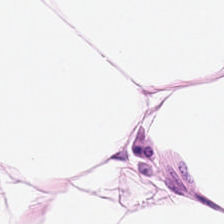H&E · FFPE tissue section · 224×224 px patch.
Predominantly fat tissue.
